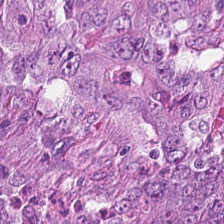Hematoxylin-and-eosin stained section — The tissue here is colorectal adenocarcinoma epithelium.
